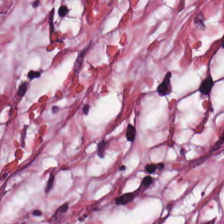H&E stain. WSI patch — This field is tumor-associated stroma.
